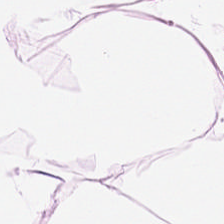Stain: hematoxylin-and-eosin stained section.
Preparation: FFPE.
Tissue class: fat tissue.
